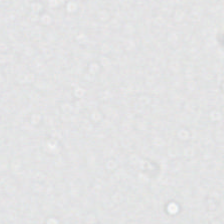H&E-stained tissue section. 0.5 µm per pixel. Empty background.
